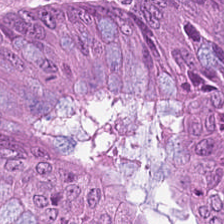H&E patch showing malignant epithelium.
